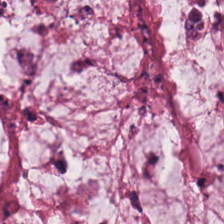Hematoxylin and eosin — Predominantly mucin.
